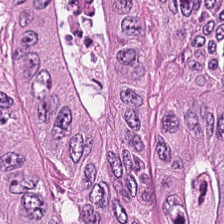Stain: hematoxylin-and-eosin stained section.
Predominant tissue: tumor epithelium.
